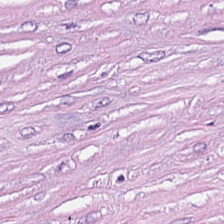Hematoxylin and eosin — Tissue: tumor stroma.
